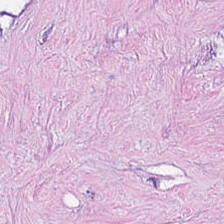H&E. The tissue class is cellular debris.
